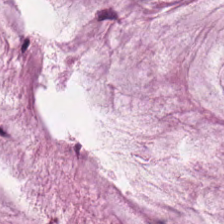FFPE · H&E-stained tissue section. Impression — mucus.
